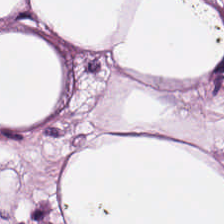H&E; 224×224 pixel tile.
Adipocytes.
